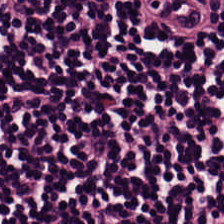Tissue class: lymphoid infiltrate.
